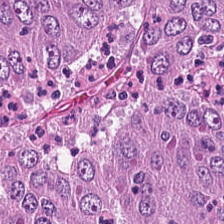H&E patch showing adenocarcinoma.
